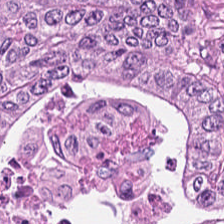H&E-stained tissue section · WSI patch · 0.5 µm/px.
This field is adenocarcinoma.
